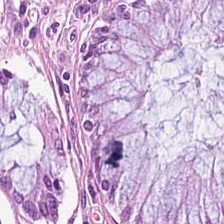H&E-stained tissue section; FFPE tissue section.
The tissue here is normal colon mucosa.
